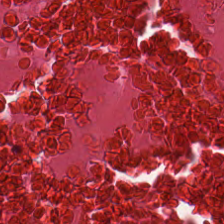Hematoxylin and eosin.
Histology → debris.
